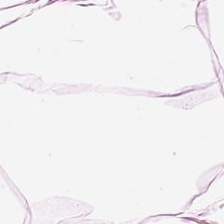This patch shows adipose.
